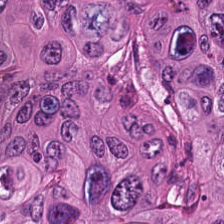224×224 px patch · H&E — This field is malignant epithelium.
